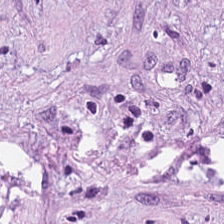Hematoxylin-and-eosin stained section; 224×224 pixel tile.
Tissue class: cancer-associated stroma.
